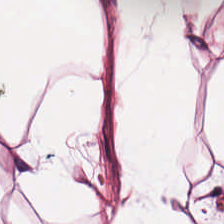Histology — fat tissue.
